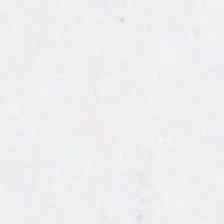H&E — Impression — no tissue.
